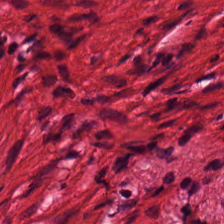H&E — smooth muscle.
